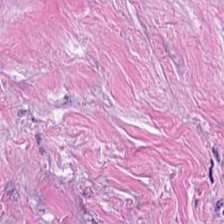Tumor-associated stroma.
